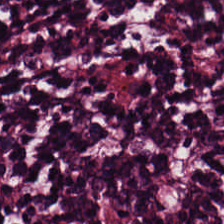H&E-stained tissue section — Predominant tissue: lymphocytes.
